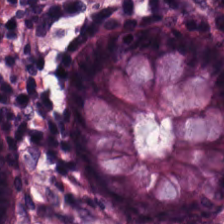Tissue — normal colon mucosa.
